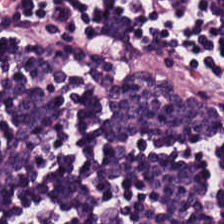Q: What is shown in this field?
A: This is lymphocytes.
